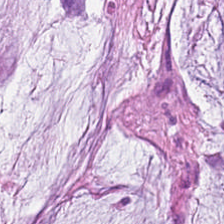H&E-stained tissue section — Q: What is shown here?
A: It is mucus.
